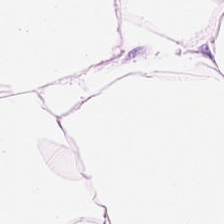The tissue is adipocytes.
